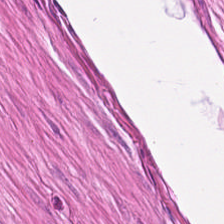FFPE. Hematoxylin and eosin. 224×224 px tile — This field is smooth muscle.
